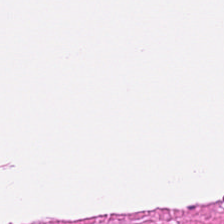Hematoxylin and eosin. Predominantly smooth-muscle tissue.
